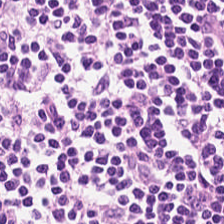FFPE tissue section · 224×224 pixel tile · H&E-stained tissue section. Q: Identify the tissue.
A: It is lymphocytes.
